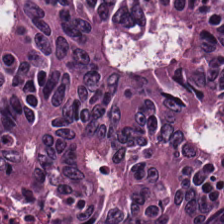H&E stain — The tissue here is malignant epithelium.
